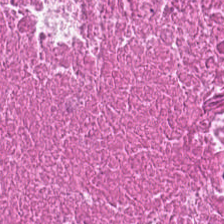Hematoxylin and eosin. Tissue class = cellular debris.
